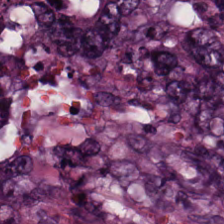H&E-stained tissue section. The tissue here is tumor epithelium.
